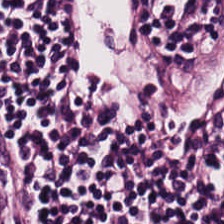Stain: H&E-stained tissue section.
Acquisition: whole-slide-image patch.
Tile size: 224×224 px patch.
Tissue class: lymphoid infiltrate.
